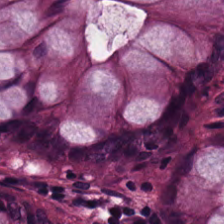Stain: hematoxylin-and-eosin stained section.
Classification: normal colonic mucosa.
